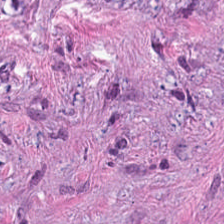The predominant tissue is tumor stroma.
